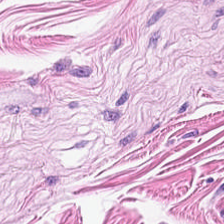0.5 µm per pixel; 224×224 px patch; H&E — Showing smooth-muscle tissue.
